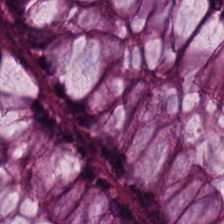H&E. Histology → normal colonic mucosa.
